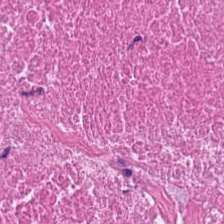Q: Classify this patch.
A: This is debris.
